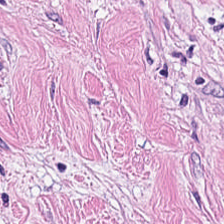224×224 px tile · hematoxylin and eosin. Finding → tumor stroma.
